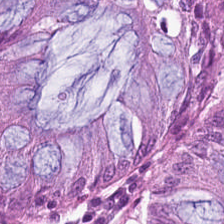Stain: H&E-stained tissue section.
Resolution: 0.5 µm/px.
Classification: normal colonic mucosa.
